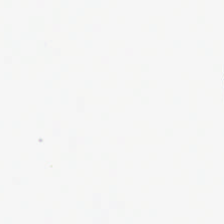FFPE tissue section; H&E. Background — no tissue in this field.
